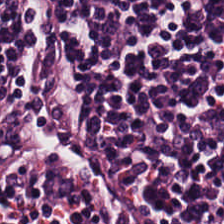H&E-stained tissue section — {"tissue_type": "lymphocytic infiltrate"}
